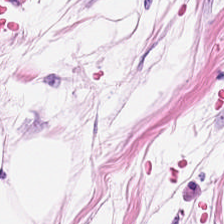Predominant tissue — adipose.
